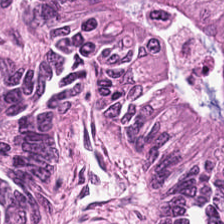Hematoxylin and eosin. The tissue class is adenocarcinoma.
